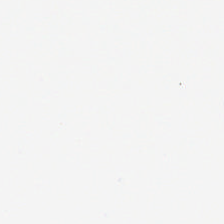H&E stain · FFPE tissue section. {"content": "empty background"}
